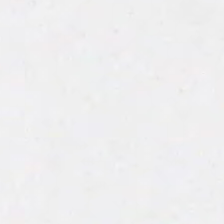H&E; 0.5 µm per pixel; WSI patch.
The content is background.
